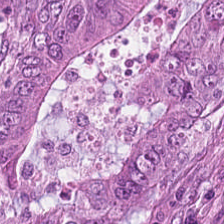The tissue here is adenocarcinoma.
